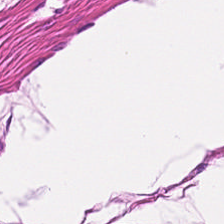H&E-stained tissue section; 224×224 px patch.
Tissue: muscularis.
